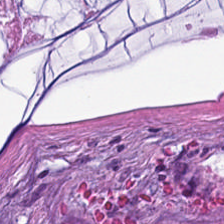H&E stain.
The tissue here is mucus.
